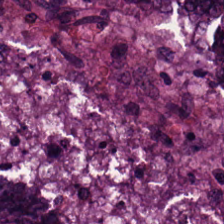Q: What does this patch show?
A: It is tumor epithelium.
